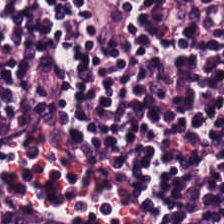Impression — lymphocytes.
